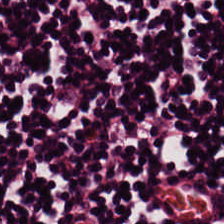Hematoxylin-and-eosin stained section. Q: What is shown in this field?
A: The field shows lymphoid infiltrate.
